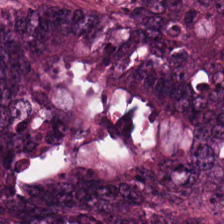Stain: H&E-stained tissue section.
Classification: tumor epithelium.
